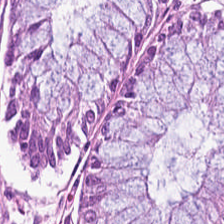H&E stain. This field is normal colonic mucosa.
